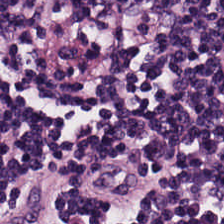H&E; formalin-fixed paraffin-embedded section — This patch shows lymphocytes.
